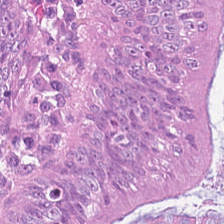Stain: H&E.
Preparation: FFPE.
Tissue class: colorectal adenocarcinoma epithelium.
